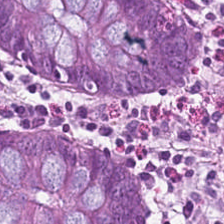Hematoxylin and eosin — Showing normal colonic mucosa.
